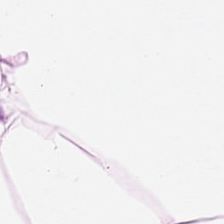0.5 µm/px · H&E — Tissue — adipose.
